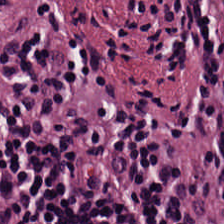Hematoxylin-and-eosin stained section — Predominantly lymphocytic infiltrate.
